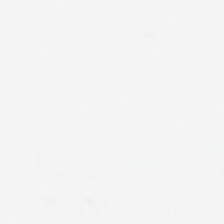H&E-stained tissue section — This patch shows background.
